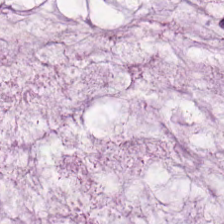Predominant tissue — mucin.
